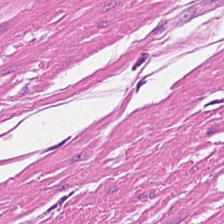Hematoxylin and eosin. 0.5 µm/px. 224×224 px patch. This field is smooth muscle.
